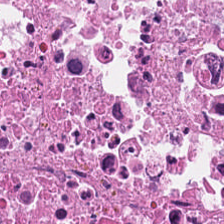Debris.
